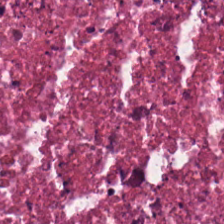Stain: H&E-stained tissue section.
Tissue: debris.
